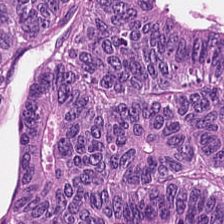H&E-stained tissue section. Predominantly adenocarcinoma.
